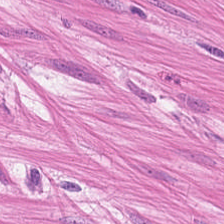H&E-stained tissue section. Histology → smooth-muscle tissue.
